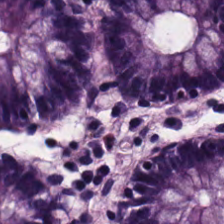Stain: hematoxylin and eosin.
Acquisition: WSI patch.
Tissue class: non-neoplastic colon mucosa.
